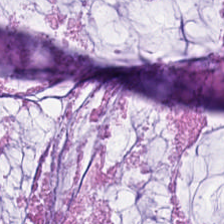Stain: hematoxylin-and-eosin stained section.
Tile size: 224×224 pixel tile.
Acquisition: brightfield.
Tissue type: extracellular mucin.
